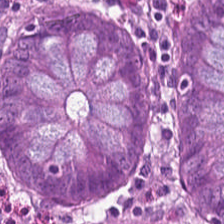H&E stain. {"tissue_type": "normal colonic mucosa"}
